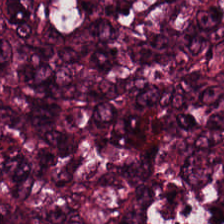H&E stain.
This field is tumor epithelium.
